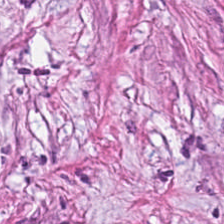Tissue class: desmoplastic stroma.
